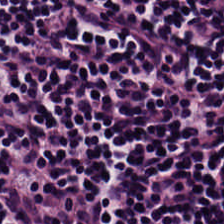Hematoxylin and eosin; 224×224 px patch. Q: What is shown in this field?
A: This is lymphocytic infiltrate.
